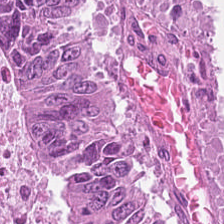Hematoxylin and eosin · 224×224 pixel tile — {"tissue_type": "adenocarcinoma"}
